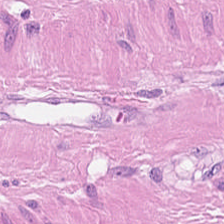Q: What is shown in this field?
A: Muscularis.
